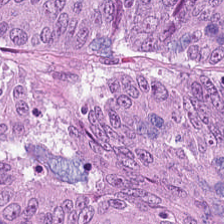Stain: H&E-stained tissue section.
Classification: adenocarcinoma.
